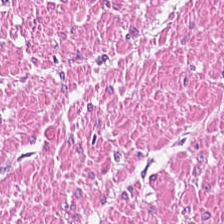20× equivalent magnification; H&E-stained tissue section; WSI patch.
Q: Classify this patch.
A: The field shows smooth-muscle tissue.
